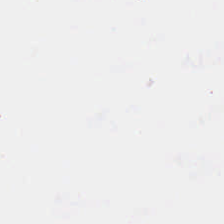224×224 px patch; H&E; 0.5 µm per pixel.
Field content — background (no tissue).
